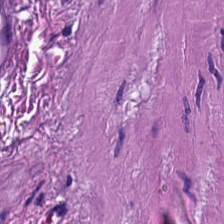Stain: H&E-stained tissue section.
Tissue type: smooth-muscle tissue.
